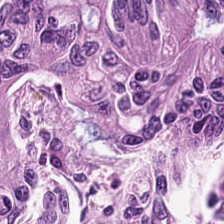Q: What type of tissue is this?
A: Tumor epithelium.
